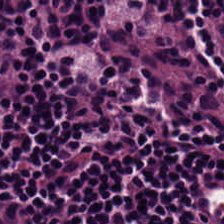Lymphocytes.
